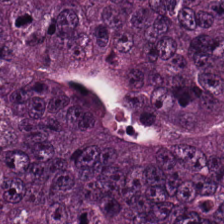224×224 pixel tile. Hematoxylin-and-eosin stained section — Predominant tissue: adenocarcinoma.
